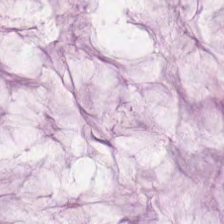H&E stain · 0.5 µm per pixel · whole-slide-image patch. The tissue class is mucin.
